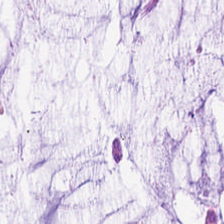Whole-slide-image patch · hematoxylin and eosin · 20× equivalent magnification.
Predominantly extracellular mucin.
